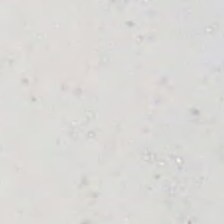Hematoxylin-and-eosin stained section — Q: What is shown here?
A: Empty background.
